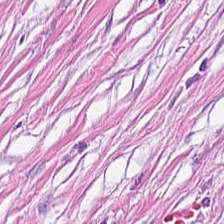Hematoxylin and eosin. The classification is cancer-associated stroma.
